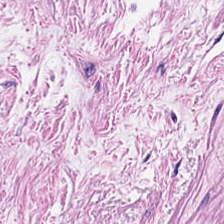H&E-stained tissue section; whole-slide-image patch — Impression — muscularis.
